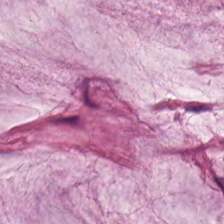H&E-stained tissue section; WSI patch — This field is extracellular mucin.
